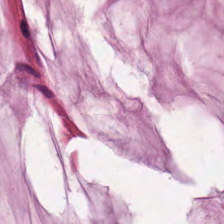WSI patch; H&E. This patch shows extracellular mucin.
